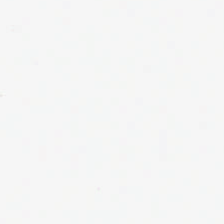Hematoxylin and eosin.
Q: What is shown here?
A: The field shows background (no tissue).
